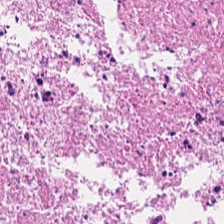Hematoxylin-and-eosin stained section; FFPE; 0.5 microns per pixel — This field is necrotic debris.
